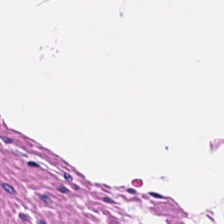H&E.
Q: Identify the tissue.
A: This is smooth muscle.
